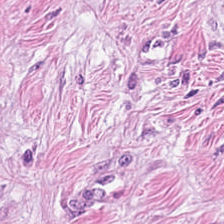Tissue type: tumor stroma.
